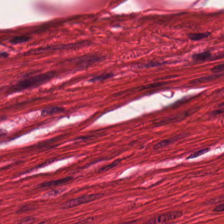H&E stain; whole-slide-image patch; 224×224 px patch. Muscularis.
